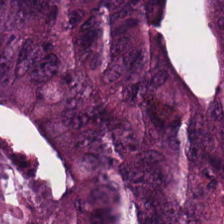Tissue class = colorectal adenocarcinoma.
